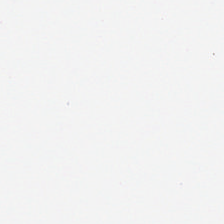H&E stain. 0.5 µm per pixel.
Finding → empty background.
